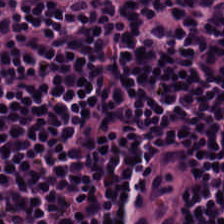224×224 px patch; H&E — {"tissue_type": "lymphocyte aggregate"}
